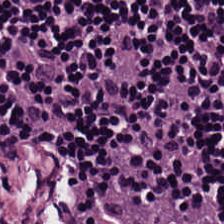H&E stain. Tissue: lymphocytes.
